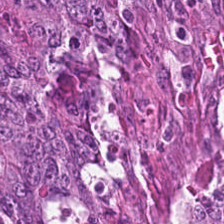{"tissue_type": "colorectal adenocarcinoma epithelium"}
